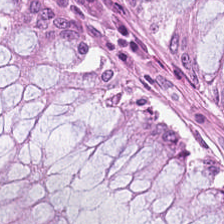Stain: H&E-stained tissue section.
Predominant tissue: non-neoplastic colon mucosa.
